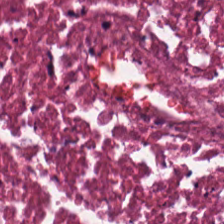Hematoxylin and eosin; FFPE tissue section. Q: What tissue type is shown here?
A: The field shows debris.
